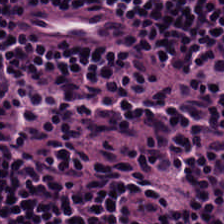H&E stain.
Classification — lymphocytic infiltrate.
